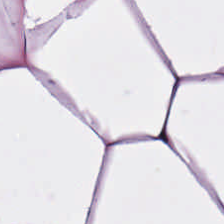H&E — The classification is adipose tissue.
